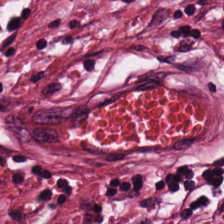Hematoxylin-and-eosin stained section.
Tissue: tumor stroma.
